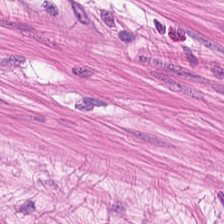H&E.
This field is smooth muscle.
